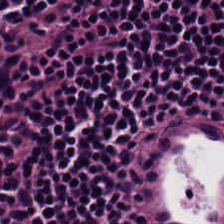Predominantly lymphocytic infiltrate.
